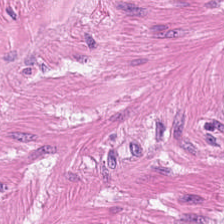224×224 pixel tile; H&E; FFPE tissue section.
The tissue here is muscularis.
